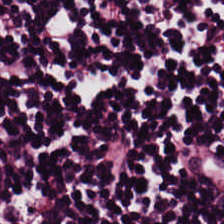H&E stain; 0.5 µm/px; FFPE — This patch shows lymphoid infiltrate.
